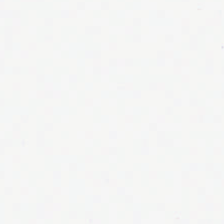224×224 pixel tile · H&E — This field is background (no tissue).
